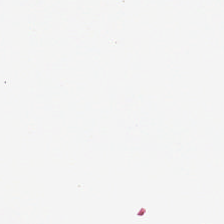H&E stain — Empty field — background.
